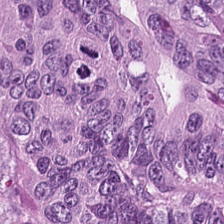Hematoxylin and eosin.
Q: Identify the tissue.
A: The field shows colorectal adenocarcinoma epithelium.
